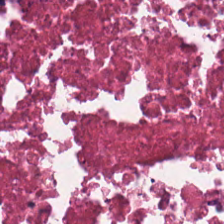H&E stain.
{"tissue_type": "cellular debris"}
